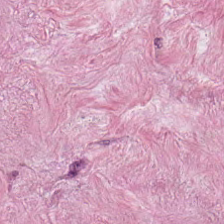Tissue class: cancer-associated stroma.
